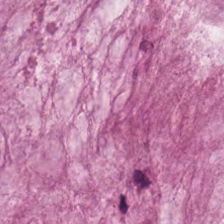H&E · 224×224 pixel tile. Finding — extracellular mucin.
